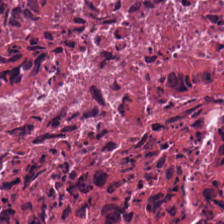0.5 µm per pixel · WSI patch · H&E stain. Tissue class: cellular debris.
